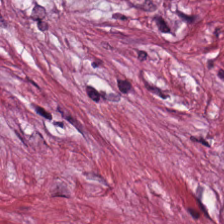Hematoxylin and eosin · 0.5 microns per pixel.
Predominantly tumor-associated stroma.
